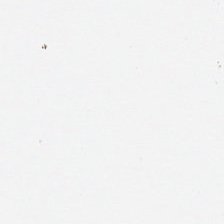H&E · 0.5 µm/px.
No tissue present; background only.
